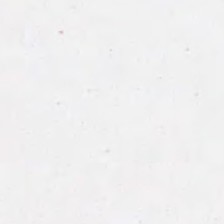H&E stain. Background (no tissue).
